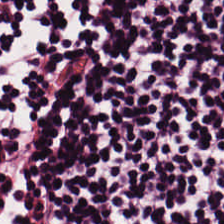Hematoxylin-and-eosin section: lymphoid infiltrate.
